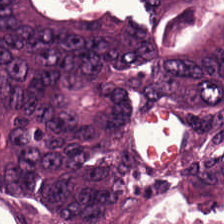Showing tumor epithelium.
